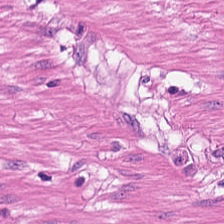Tissue type = smooth muscle.
